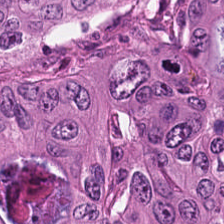Hematoxylin and eosin — {"tissue_type": "tumor epithelium"}
